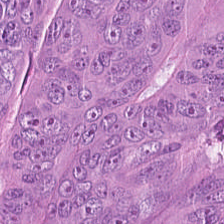FFPE tissue section; H&E stain; 224×224 px patch — Q: What tissue is shown?
A: This is colorectal adenocarcinoma epithelium.
